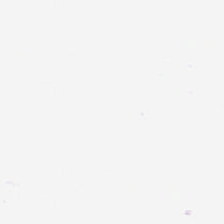H&E-stained tissue section.
Background — no tissue in this field.
